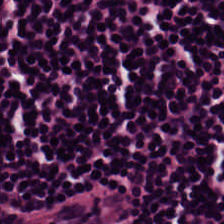Hematoxylin-and-eosin stained section — The classification is lymphocyte aggregate.
